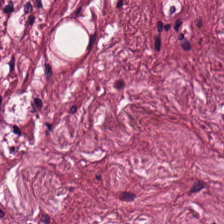H&E.
Tissue class: tumor-associated stroma.
